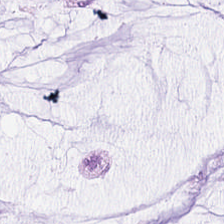Predominant tissue — extracellular mucin.
